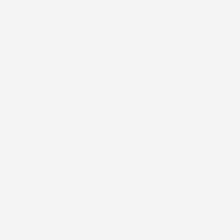H&E-stained tissue section — Background — no tissue in this field.
